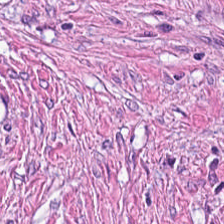20× equivalent magnification; hematoxylin-and-eosin stained section. The predominant tissue is tumor stroma.
